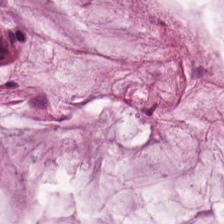Hematoxylin and eosin. The tissue here is extracellular mucin.
